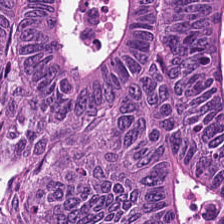H&E stain.
The tissue here is colorectal adenocarcinoma epithelium.
